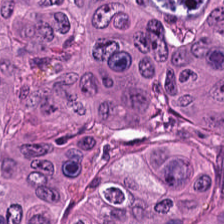Hematoxylin and eosin. Q: What is shown in this field?
A: This is colorectal adenocarcinoma epithelium.
